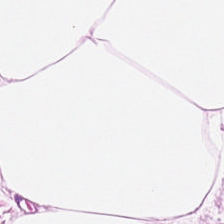Hematoxylin and eosin — This field is adipocytes.
